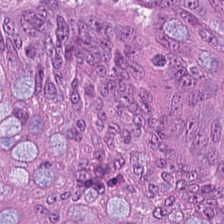WSI patch · H&E-stained tissue section — Colorectal adenocarcinoma.
